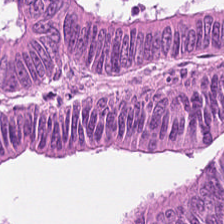H&E.
The tissue here is tumor epithelium.
